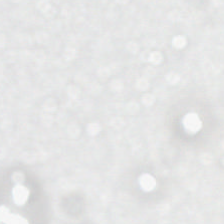Stain: H&E-stained tissue section.
Acquisition: whole-slide-image patch.
Content: background (no tissue).
